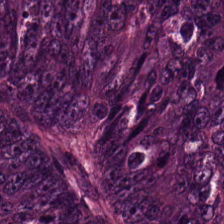H&E — Q: Classify this patch.
A: This is adenocarcinoma.
